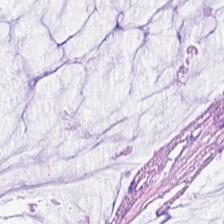Hematoxylin-and-eosin stained section — Finding → extracellular mucin.
